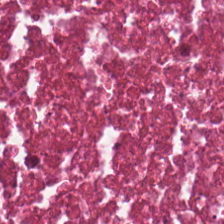Q: What is shown in this field?
A: It is necrotic debris.
